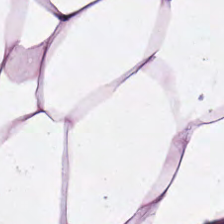Formalin-fixed paraffin-embedded section · H&E · 224×224 px patch. The tissue here is adipose.
